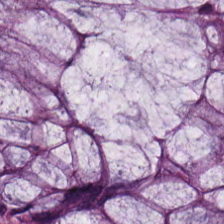Predominantly benign colonic mucosa.
